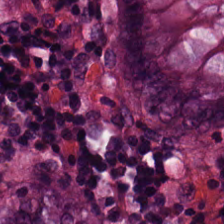H&E stain — This field is non-neoplastic colon mucosa.
